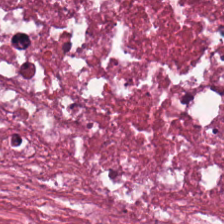H&E; FFPE tissue section; 20× equivalent magnification — Tissue type = necrotic debris.
